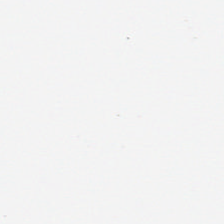Hematoxylin-and-eosin stained section.
Field content: no tissue.
